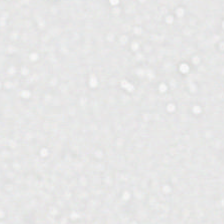No tissue present; background only.
